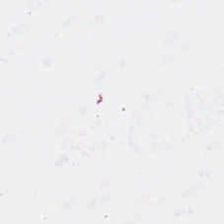224×224 px tile · H&E-stained tissue section.
{"content": "no tissue"}
